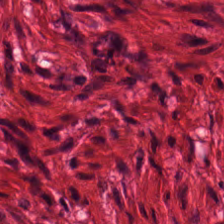Hematoxylin and eosin. The predominant tissue is smooth muscle.
